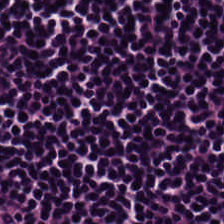Stain: H&E-stained tissue section.
Preparation: FFPE.
Tissue type: lymphocytes.
